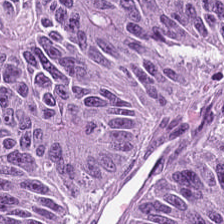H&E — Showing colorectal adenocarcinoma.
